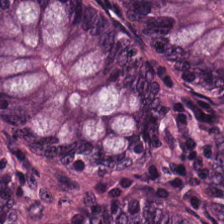20× equivalent magnification · H&E stain.
{"tissue_type": "normal colon mucosa"}
